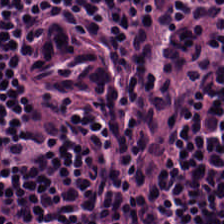H&E — Tissue class = lymphoid infiltrate.
